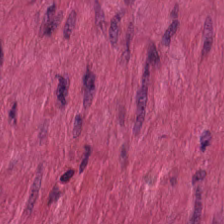The classification is muscularis.
